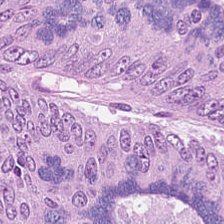0.5 µm per pixel. H&E-stained tissue section. Q: What type of tissue is this?
A: The field shows malignant epithelium.
